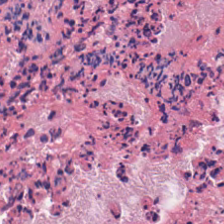Hematoxylin and eosin. 0.5 µm/px. FFPE tissue section. Tissue class: cellular debris.
